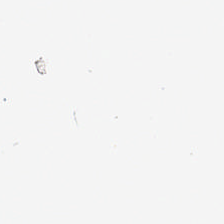The classification is no tissue.
